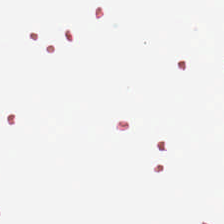0.5 µm/px · hematoxylin-and-eosin stained section · brightfield microscopy — No tissue present; background only.
